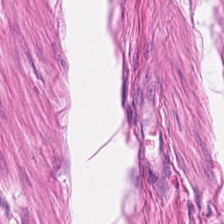H&E-stained tissue section — This patch shows smooth muscle.
